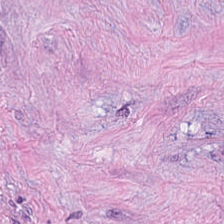Brightfield · H&E. The predominant tissue is tumor stroma.
